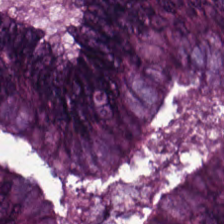Predominant tissue: tumor epithelium.
